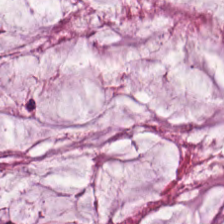H&E-stained tissue section.
Tissue class: extracellular mucin.
